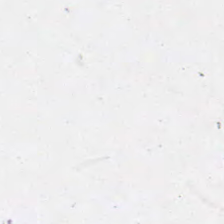H&E-stained tissue section — This field is background (no tissue).
